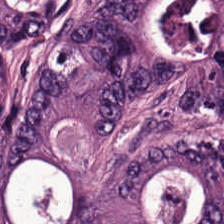Hematoxylin and eosin.
This field is colorectal adenocarcinoma epithelium.
